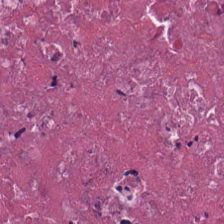H&E. Histology → debris.
